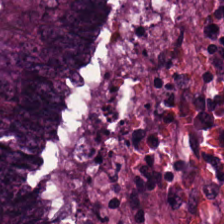Hematoxylin-and-eosin stained section; brightfield.
Predominantly colorectal adenocarcinoma.
